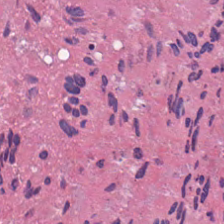224×224 px tile · hematoxylin-and-eosin stained section — Q: What is shown here?
A: This is necrotic debris.
